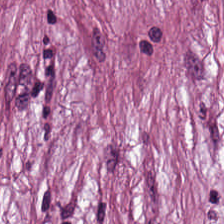H&E-stained tissue section.
This patch shows tumor stroma.
